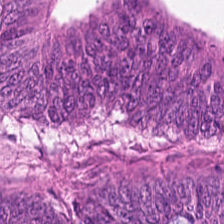Stain: H&E-stained tissue section.
Acquisition: brightfield microscopy.
Preparation: FFPE tissue section.
Predominant tissue: colorectal adenocarcinoma epithelium.
